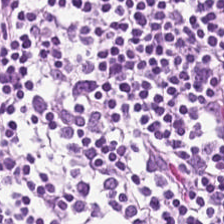Whole-slide-image patch; H&E-stained tissue section.
This field is lymphocyte aggregate.
